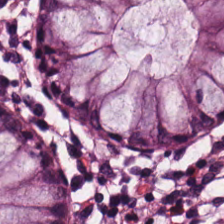H&E; 20× equivalent magnification.
The predominant tissue is benign colonic mucosa.
